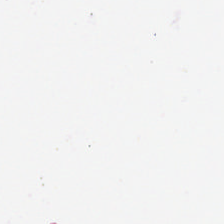H&E. The classification is no tissue.
